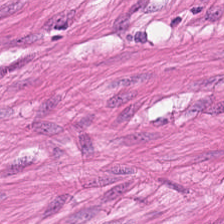H&E stain.
Q: What does this patch show?
A: It is smooth muscle.
